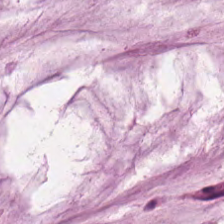Stain: H&E stain.
Resolution: 0.5 µm per pixel.
Preparation: FFPE tissue section.
Tissue class: mucus.
